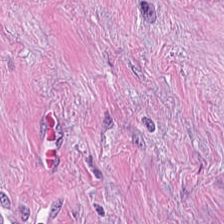H&E-stained section; the field shows tumor stroma.
